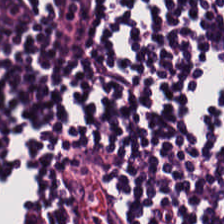Stain: H&E stain.
Tissue: lymphocytic infiltrate.
